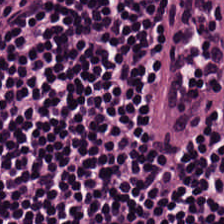Stain: hematoxylin and eosin.
Tissue: lymphocyte aggregate.
